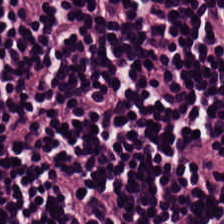H&E — Predominant tissue = lymphocytic infiltrate.
